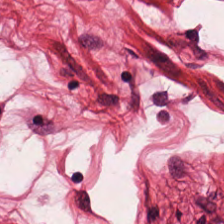H&E-stained tissue section.
Predominantly muscularis.
